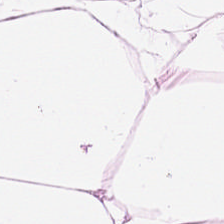The classification is adipocytes.
